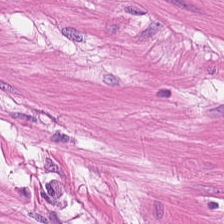H&E · formalin-fixed paraffin-embedded section. Predominantly smooth muscle.
